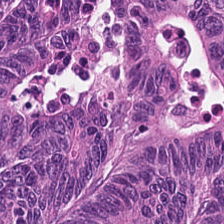224×224 pixel tile · H&E — This patch shows colorectal adenocarcinoma.
